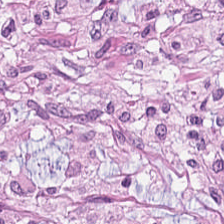FFPE. 224×224 pixel tile. H&E. This patch shows cancer-associated stroma.
